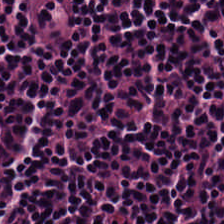H&E — Tissue type: lymphoid infiltrate.
